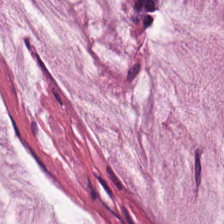H&E stain.
Q: What is shown in this field?
A: The field shows mucus.
